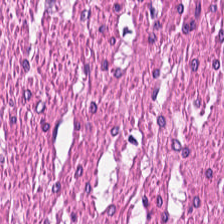H&E stain. FFPE tissue section. 0.5 microns per pixel. The predominant tissue is smooth muscle.
